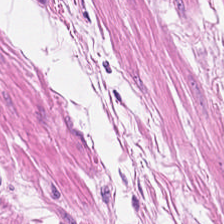Hematoxylin-and-eosin section: muscularis.
